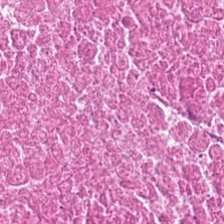224×224 px patch. H&E-stained tissue section — The tissue here is debris.
